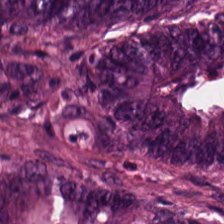224×224 pixel tile · 0.5 µm per pixel · H&E.
Q: What tissue type is shown here?
A: The field shows colorectal adenocarcinoma epithelium.
